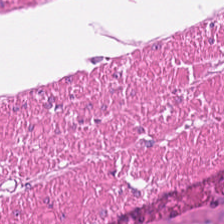The predominant tissue is smooth-muscle tissue.
